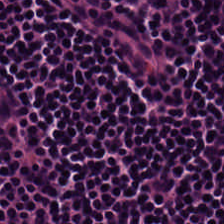H&E stain — Q: What is the predominant tissue type?
A: Lymphocyte aggregate.
